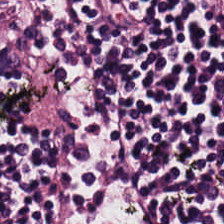Impression → lymphoid infiltrate.
